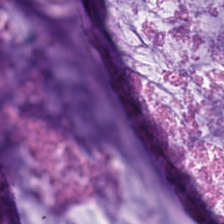Hematoxylin-and-eosin section: mucin.
